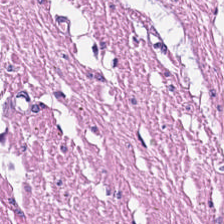0.5 µm per pixel · H&E stain — This patch shows smooth muscle.
